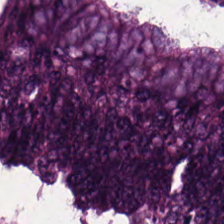Hematoxylin-and-eosin stained section · FFPE — The classification is malignant epithelium.
